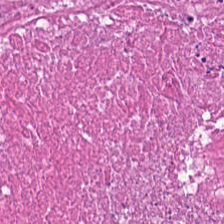Predominant tissue: necrotic debris.
